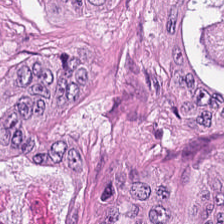Brightfield microscopy · hematoxylin and eosin. Histology — malignant epithelium.
